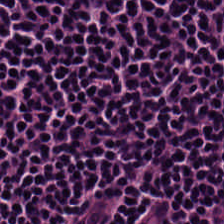0.5 µm per pixel; hematoxylin and eosin; 224×224 pixel tile — This field is lymphocytic infiltrate.
